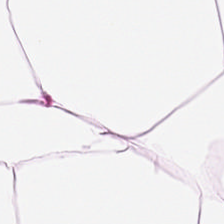Showing fat tissue.
